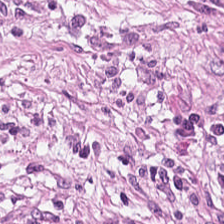H&E stain. Tissue: tumor stroma.
